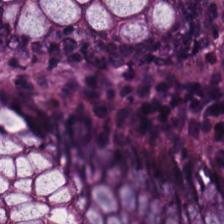Stain: hematoxylin and eosin.
Predominant tissue: normal colon mucosa.
